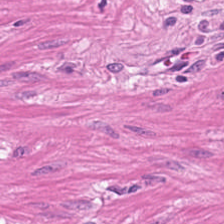Smooth-muscle tissue.
